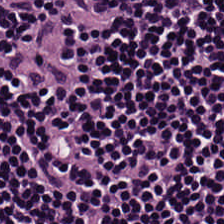H&E-stained tissue section — Q: What is the predominant tissue type?
A: The field shows lymphocyte aggregate.
